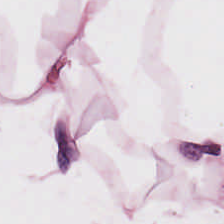Stain: hematoxylin-and-eosin stained section.
Tile size: 224×224 px tile.
Acquisition: brightfield.
Classification: fat tissue.
